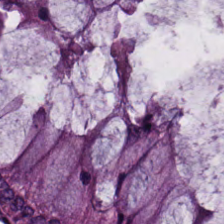Q: What does this patch show?
A: The field shows normal colon mucosa.
